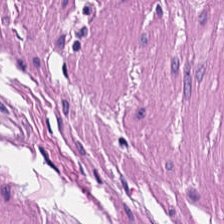Hematoxylin-and-eosin stained section · FFPE tissue section — Q: What type of tissue is this?
A: It is muscularis.
